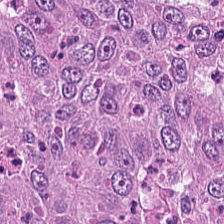Predominant tissue: adenocarcinoma.
